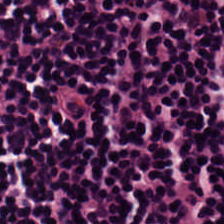0.5 microns per pixel · brightfield microscopy · hematoxylin-and-eosin stained section. Tissue = lymphocytes.
